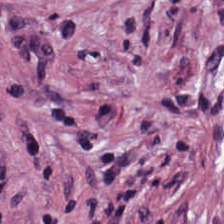Predominantly tumor stroma.
